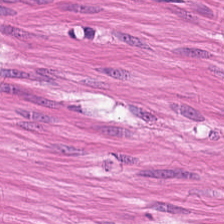20× equivalent magnification · hematoxylin-and-eosin stained section.
Tissue class: smooth muscle.
